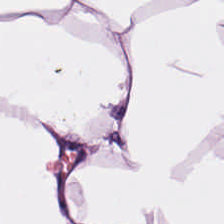H&E-stained tissue section; 0.5 µm per pixel — Tissue class = adipose.
